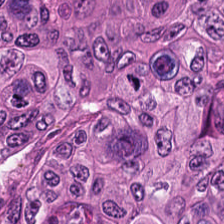Brightfield. FFPE. H&E-stained tissue section.
This field is colorectal adenocarcinoma epithelium.
